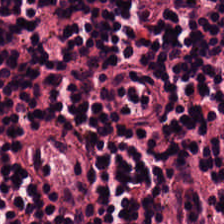Lymphoid infiltrate.
